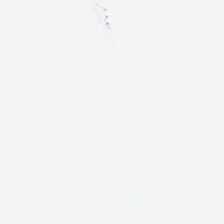Q: Classify this patch.
A: This is no tissue.
